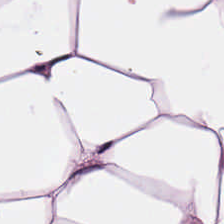H&E stain.
{"tissue_type": "adipose tissue"}
